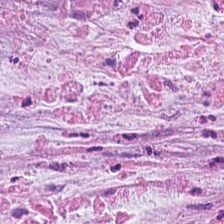H&E stain — Classification: extracellular mucin.
